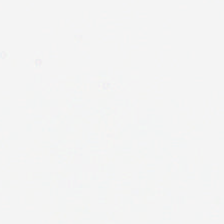H&E stain — Background.
